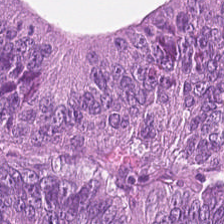Hematoxylin-and-eosin stained section. 224×224 pixel tile.
Finding — colorectal adenocarcinoma epithelium.
